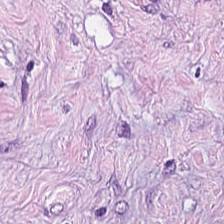FFPE tissue section; H&E-stained tissue section.
{"tissue_type": "tumor stroma"}
